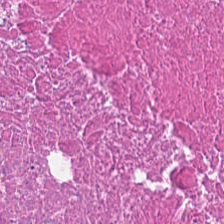H&E-stained section; the field shows debris.
